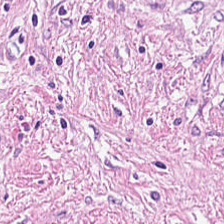H&E stain. The tissue type is cancer-associated stroma.
